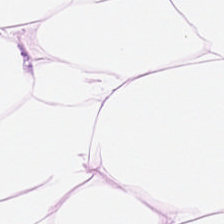Hematoxylin and eosin. 224×224 px patch — {"tissue_type": "adipose"}
